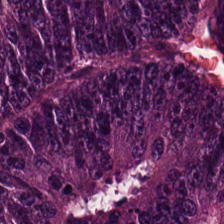H&E — colorectal adenocarcinoma.
